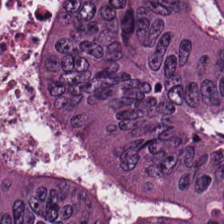H&E patch showing colorectal adenocarcinoma epithelium.
